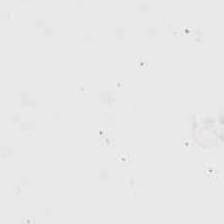Hematoxylin-and-eosin stained section — Q: What does this patch show?
A: This is empty background.
